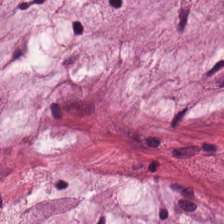Q: Identify the tissue.
A: The field shows mucin.
